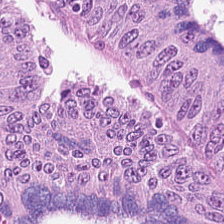H&E stain · 0.5 µm per pixel · 224×224 pixel tile.
Colorectal adenocarcinoma epithelium.
